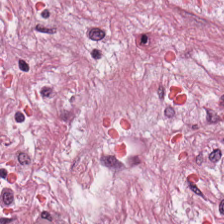Hematoxylin-and-eosin stained section · 224×224 pixel tile.
Predominantly cancer-associated stroma.
